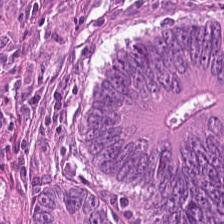Brightfield microscopy; H&E.
Showing adenocarcinoma.
